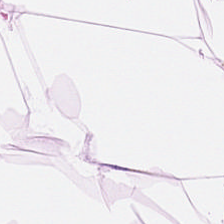0.5 µm per pixel · H&E-stained tissue section — Predominant tissue = fat tissue.
